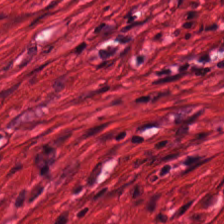WSI patch · hematoxylin and eosin — This patch shows smooth muscle.
